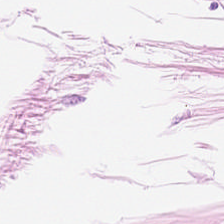Stain: H&E.
Resolution: 0.5 microns per pixel.
Acquisition: WSI patch.
Predominant tissue: fat tissue.
